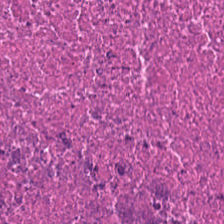Hematoxylin-and-eosin stained section — Histology — debris.
